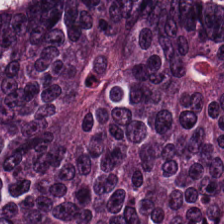Predominant tissue — adenocarcinoma.
